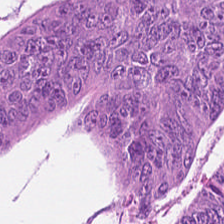FFPE. Hematoxylin-and-eosin stained section.
Predominantly colorectal adenocarcinoma epithelium.
